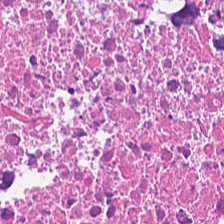Stain: H&E-stained tissue section.
Acquisition: whole-slide-image patch.
Tissue type: necrotic debris.
